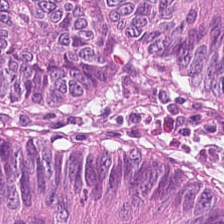Hematoxylin-and-eosin stained section; formalin-fixed paraffin-embedded section — This patch shows colorectal adenocarcinoma epithelium.
